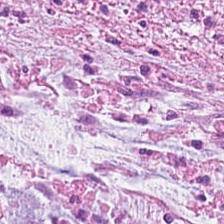Stain: H&E stain.
Preparation: formalin-fixed paraffin-embedded section.
Resolution: 0.5 µm per pixel.
Classification: tumor-associated stroma.
